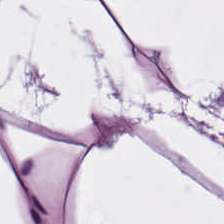Histology — adipocytes.
